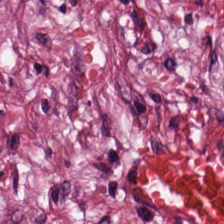0.5 µm per pixel; 224×224 px patch; hematoxylin and eosin.
Tissue class: tumor stroma.
